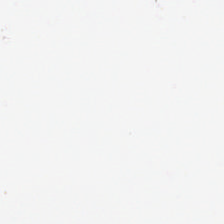Stain: H&E stain.
Field content: background (no tissue).
